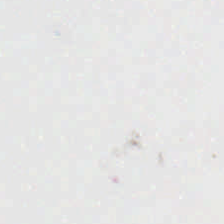Hematoxylin and eosin.
Finding — background.
